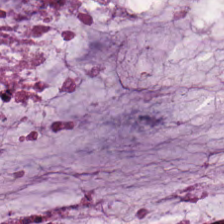Classification = mucin.
